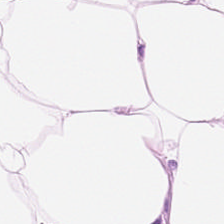H&E stain. FFPE.
The predominant tissue is adipocytes.
